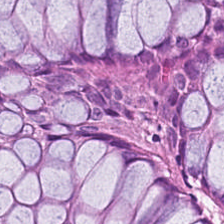H&E-stained tissue section.
Finding — normal colonic mucosa.
